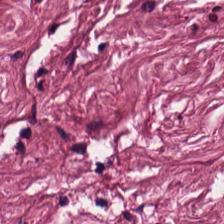H&E.
Finding — desmoplastic stroma.
